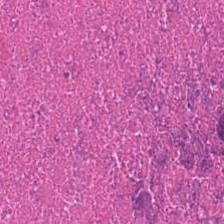Q: What is the predominant tissue type?
A: Necrotic debris.
